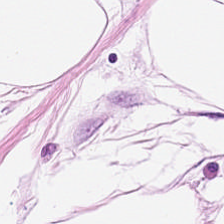H&E stain — Tissue class: adipose.
